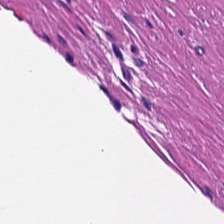H&E-stained tissue section. The tissue class is smooth-muscle tissue.
